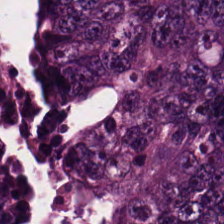Hematoxylin and eosin.
Q: What tissue type is shown here?
A: The field shows colorectal adenocarcinoma.
